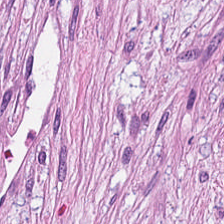Hematoxylin and eosin; FFPE. The tissue type is desmoplastic stroma.
